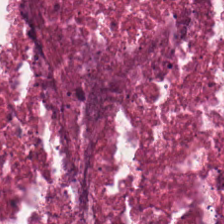Hematoxylin and eosin; 0.5 µm per pixel. Tissue: necrotic debris.
